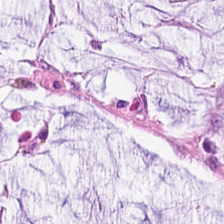224×224 px tile · H&E stain — Mucin.
